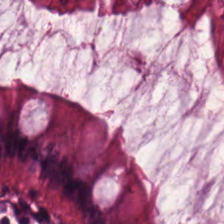{"tissue_type": "non-neoplastic colon mucosa"}
